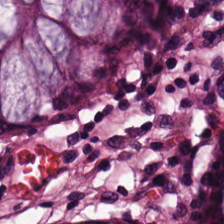H&E-stained tissue section; FFPE tissue section.
Q: What tissue type is shown here?
A: This is normal colonic mucosa.
